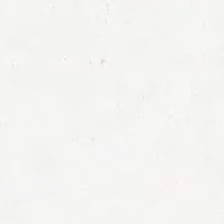H&E stain · 224×224 pixel tile · formalin-fixed paraffin-embedded section — Classification: empty background.
